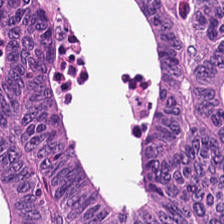H&E stain — {"tissue_type": "colorectal adenocarcinoma epithelium"}
